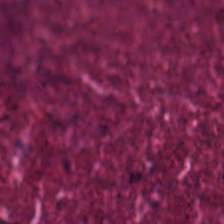0.5 µm per pixel; H&E stain — This field is cellular debris.
